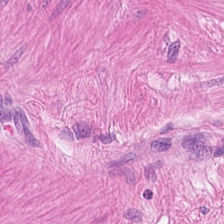0.5 µm/px. Hematoxylin-and-eosin stained section.
Smooth-muscle tissue.
